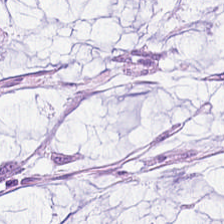H&E-stained tissue section. The tissue here is mucin.
